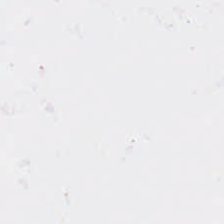Stain: H&E stain.
Preparation: FFPE.
Content: empty background.
